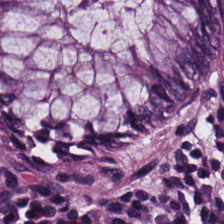Hematoxylin-and-eosin stained section · 224×224 px tile — {"tissue_type": "normal colonic mucosa"}
